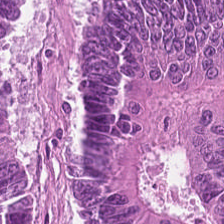WSI patch. H&E stain.
Adenocarcinoma.
